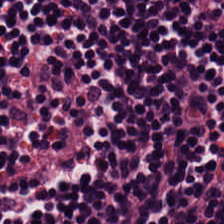224×224 px tile; 0.5 µm/px; H&E.
Lymphocyte aggregate.
